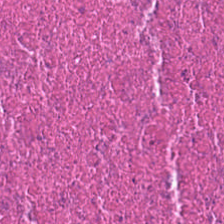Hematoxylin-and-eosin stained section. Histology → cellular debris.
